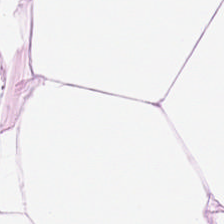Hematoxylin-and-eosin stained section — Finding — adipose.
